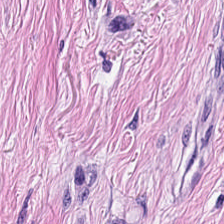Tumor-associated stroma.
